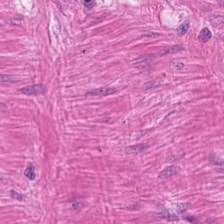{"tissue_type": "smooth muscle"}
